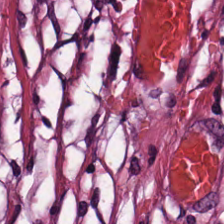H&E-stained tissue section; FFPE. Impression → tumor stroma.
